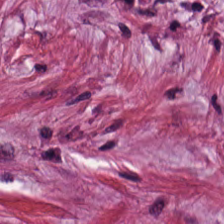Stain: H&E stain.
Predominant tissue: tumor stroma.
